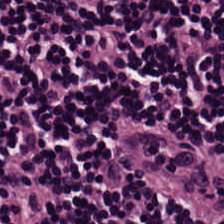Stain: H&E.
Predominant tissue: lymphocytes.
